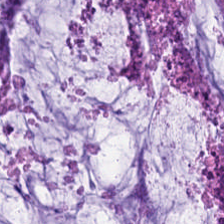Stain: H&E.
Tissue class: extracellular mucin.
